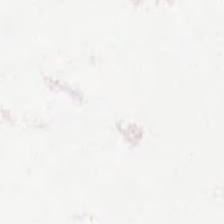H&E stain — Q: What does this patch show?
A: It is empty background.
